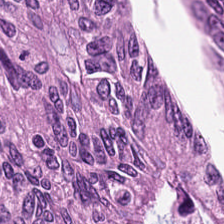H&E.
Finding — tumor epithelium.
